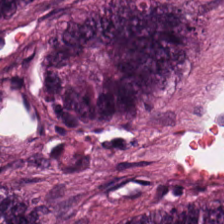H&E stain — Tissue type = colorectal adenocarcinoma.
